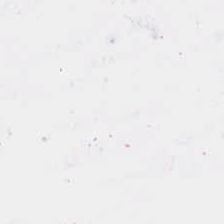H&E-stained tissue section. 224×224 px tile. This patch shows empty background.
